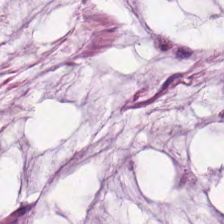H&E-stained tissue section showing mucus.
